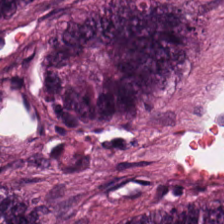H&E stain.
Tissue = colorectal adenocarcinoma.
